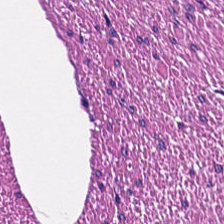H&E-stained section; the field shows smooth-muscle tissue.
